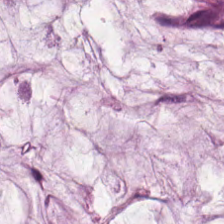Stain: hematoxylin and eosin.
Tile size: 224×224 pixel tile.
Tissue type: extracellular mucin.
